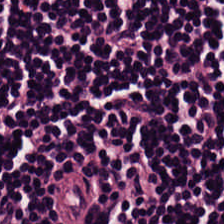Hematoxylin and eosin. Q: What does this patch show?
A: The field shows lymphocytic infiltrate.
